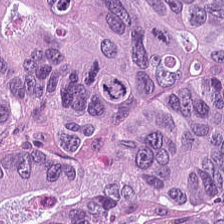H&E-stained tissue section — Tissue class — colorectal adenocarcinoma.
